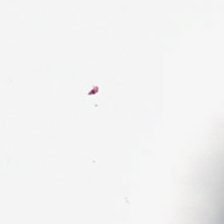Stain: H&E-stained tissue section.
Resolution: 0.5 µm per pixel.
Acquisition: brightfield.
Content: empty background.
